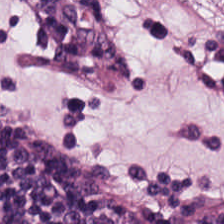H&E-stained tissue section.
This field is lymphoid infiltrate.
